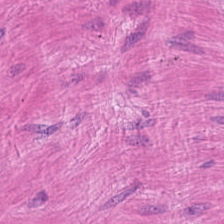Hematoxylin and eosin — Predominantly smooth muscle.
